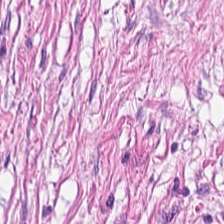H&E · brightfield microscopy — Q: What does this patch show?
A: Cancer-associated stroma.
